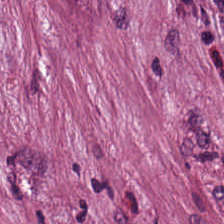Stain: hematoxylin and eosin.
Resolution: 0.5 microns per pixel.
Classification: desmoplastic stroma.
